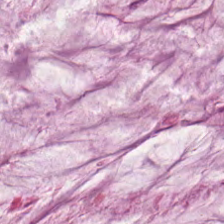H&E. Q: Classify this patch.
A: The field shows mucus.
